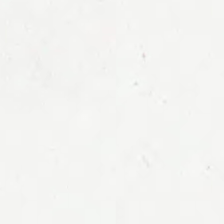Hematoxylin-and-eosin stained section — This field is background (no tissue).
